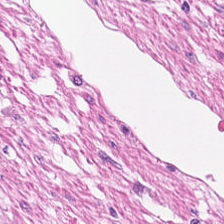224×224 pixel tile; hematoxylin and eosin — Predominantly muscularis.
